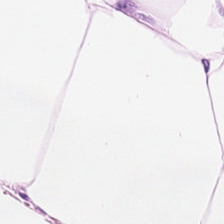Hematoxylin and eosin — Showing adipose tissue.
